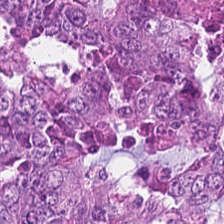H&E-stained tissue section. Colorectal adenocarcinoma epithelium.
